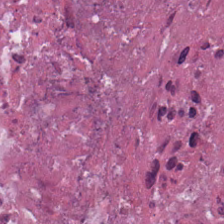Tissue = debris.
